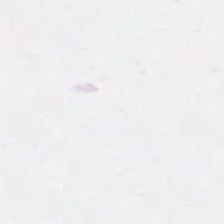Content: empty background.
